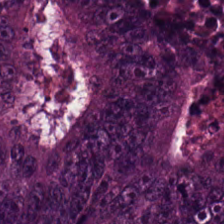Brightfield microscopy · H&E stain.
Tissue type — colorectal adenocarcinoma.
